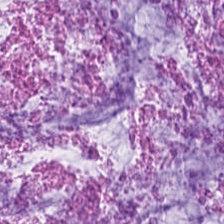Stain: hematoxylin and eosin.
Predominant tissue: mucin.
